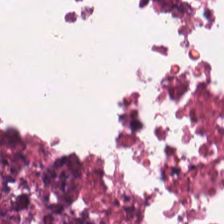Hematoxylin-and-eosin stained section — The predominant tissue is debris.
